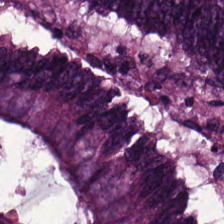Stain: hematoxylin-and-eosin stained section.
Resolution: 20× equivalent magnification.
Tissue class: colorectal adenocarcinoma epithelium.
